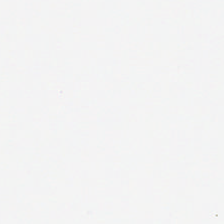H&E-stained tissue section. Content = no tissue.
